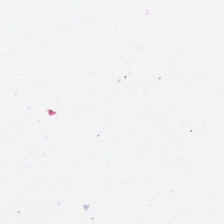H&E.
Content = no tissue.
